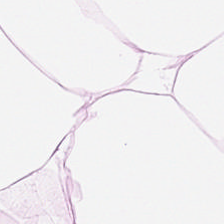H&E stain — Tissue type — adipose.
